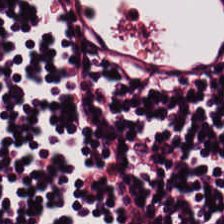H&E.
The tissue here is lymphoid infiltrate.
